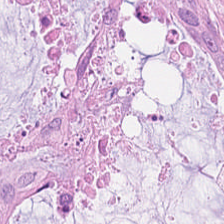Hematoxylin-and-eosin stained section. 0.5 microns per pixel. This field is malignant epithelium.
